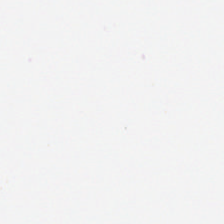0.5 microns per pixel; H&E; FFPE. No tissue present; background only.
